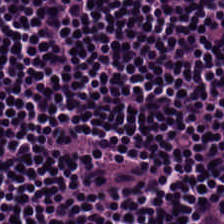H&E. Histology → lymphocyte aggregate.
